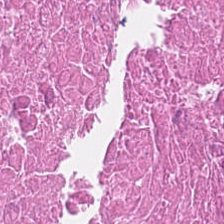H&E-stained tissue section · 0.5 µm per pixel — {"tissue_type": "necrotic debris"}
